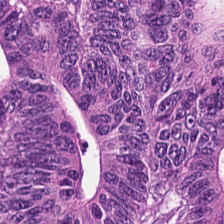H&E-stained tissue section; whole-slide-image patch.
Tissue class: adenocarcinoma.
